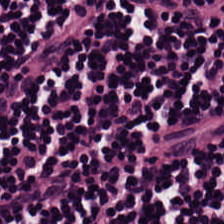224×224 px patch; hematoxylin-and-eosin stained section; FFPE tissue section. Tissue type = lymphocytic infiltrate.
